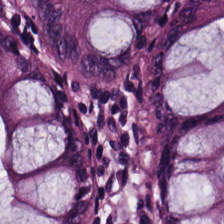Hematoxylin-and-eosin stained section. Brightfield microscopy. Finding — non-neoplastic colon mucosa.
